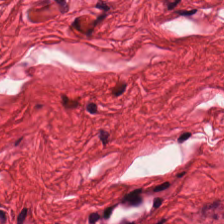FFPE. Hematoxylin-and-eosin stained section. Predominantly smooth-muscle tissue.
